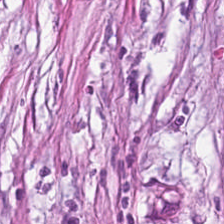H&E-stained tissue section · whole-slide-image patch. Impression → tumor-associated stroma.
